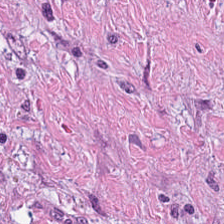FFPE tissue section; hematoxylin-and-eosin stained section.
Predominantly tumor-associated stroma.
